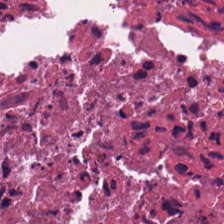H&E stain.
Tissue — debris.
